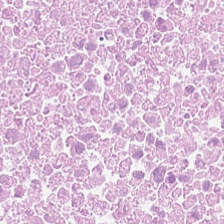The tissue class is debris.
